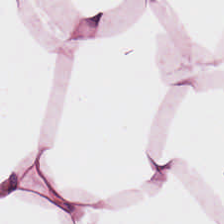Hematoxylin-and-eosin stained section. Predominant tissue: adipose.
